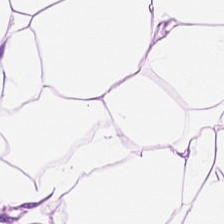The tissue is adipose.
